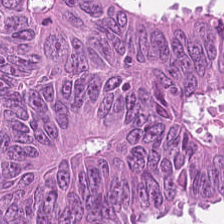Hematoxylin and eosin.
Impression — malignant epithelium.
